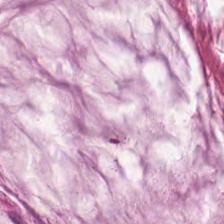H&E. {"tissue_type": "mucin"}
